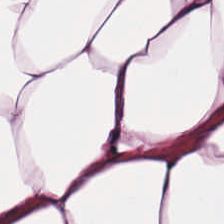Impression → adipose.
